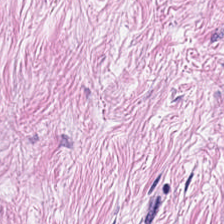H&E. 0.5 microns per pixel.
The predominant tissue is tumor-associated stroma.
